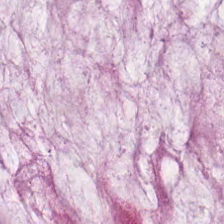224×224 px patch. Hematoxylin and eosin. Formalin-fixed paraffin-embedded section — The predominant tissue is extracellular mucin.
